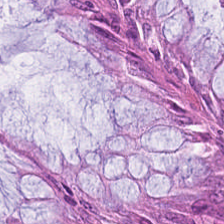Stain: H&E stain.
Classification: non-neoplastic colon mucosa.
